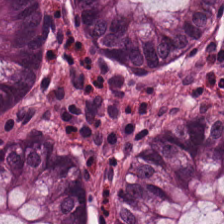H&E stain — Showing normal colonic mucosa.
